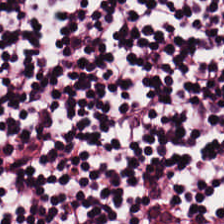Hematoxylin and eosin; 224×224 pixel tile — The predominant tissue is lymphocytes.
